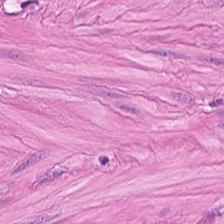224×224 pixel tile. FFPE tissue section. H&E-stained tissue section.
The tissue class is smooth muscle.
